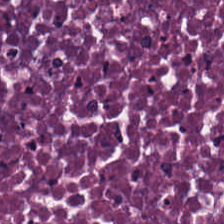224×224 pixel tile; H&E-stained tissue section — The tissue here is debris.
